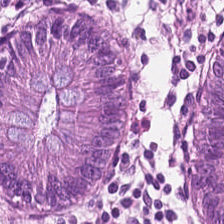0.5 µm/px; hematoxylin-and-eosin stained section; formalin-fixed paraffin-embedded section. The tissue type is benign colonic mucosa.
